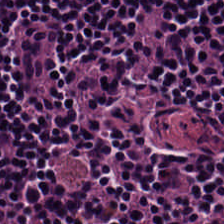H&E-stained tissue section. Showing lymphoid infiltrate.
